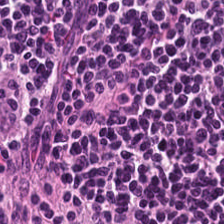Hematoxylin and eosin — Classification: lymphocyte aggregate.
